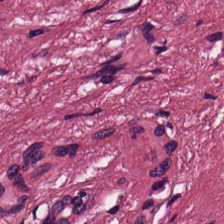Q: What is the predominant tissue type?
A: The field shows tumor-associated stroma.
